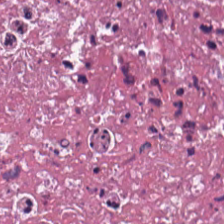Stain: H&E stain.
Tile size: 224×224 pixel tile.
Classification: debris.
